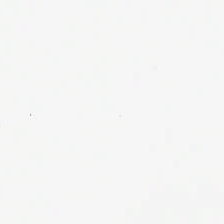Hematoxylin-and-eosin stained section; 224×224 px tile — Background — no tissue in this field.
